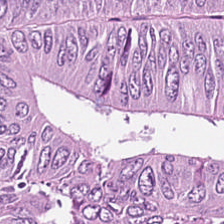Hematoxylin-and-eosin stained section; 224×224 px patch; brightfield microscopy.
Showing colorectal adenocarcinoma epithelium.
